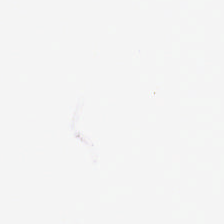H&E · brightfield microscopy. {"content": "background"}
